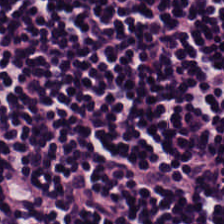H&E patch showing lymphocytic infiltrate.
